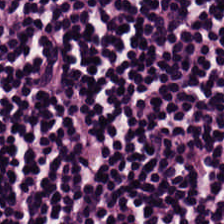Stain: H&E-stained tissue section.
Tissue: lymphoid infiltrate.
